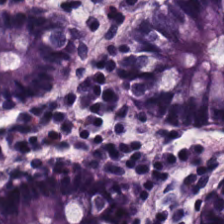Stain: H&E.
Preparation: FFPE tissue section.
Acquisition: WSI patch.
Tissue type: benign colonic mucosa.
